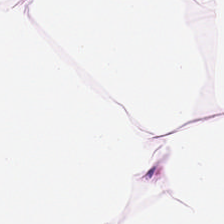Hematoxylin-and-eosin stained section. This field is fat tissue.
